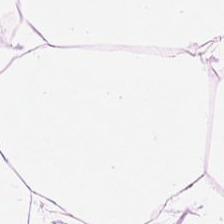Brightfield; H&E stain; formalin-fixed paraffin-embedded section.
Histology → adipose.
